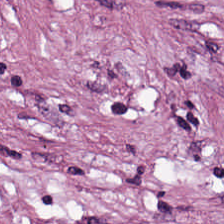Hematoxylin-and-eosin stained section — Predominant tissue — tumor-associated stroma.
